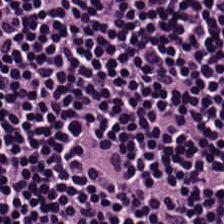Brightfield; 224×224 pixel tile; hematoxylin and eosin.
Q: What tissue type is shown here?
A: Lymphoid infiltrate.
